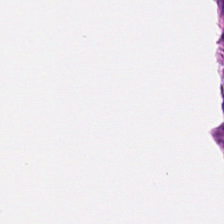H&E. Q: Classify this patch.
A: It is smooth-muscle tissue.
